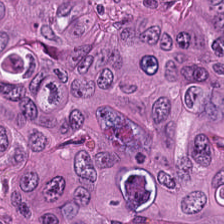H&E-stained tissue section — The predominant tissue is tumor epithelium.
